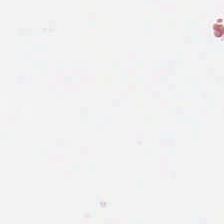Hematoxylin and eosin — This patch shows no tissue.
